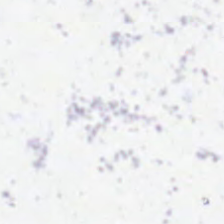Hematoxylin and eosin. Q: Classify this patch.
A: Background (no tissue).
